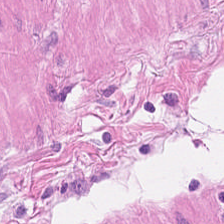H&E; 224×224 pixel tile.
Predominantly smooth muscle.
